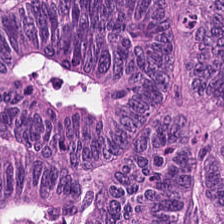H&E-stained tissue section.
The predominant tissue is colorectal adenocarcinoma epithelium.
